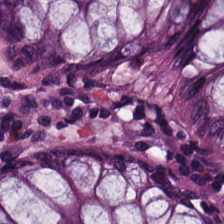H&E-stained tissue section.
{"tissue_type": "normal colonic mucosa"}
